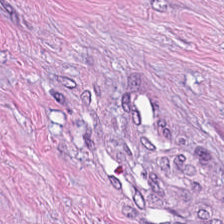H&E — Predominant tissue: desmoplastic stroma.
